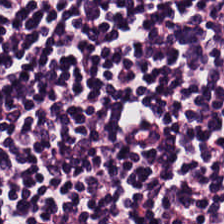Brightfield microscopy · 224×224 pixel tile · H&E stain.
Q: What is shown in this field?
A: The field shows lymphocyte aggregate.
